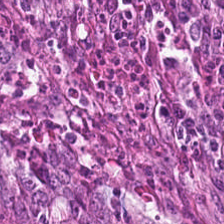Stain: hematoxylin and eosin.
Predominant tissue: adenocarcinoma.
